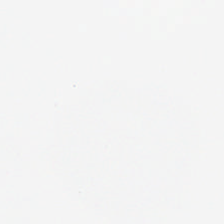Hematoxylin and eosin. Field content = empty background.
